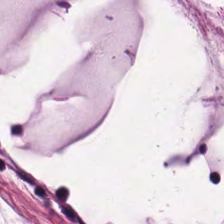Stain: hematoxylin-and-eosin stained section.
Tile size: 224×224 pixel tile.
Predominant tissue: extracellular mucin.
